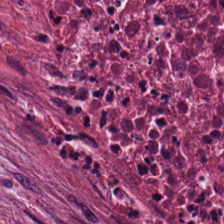Histology — cellular debris.
